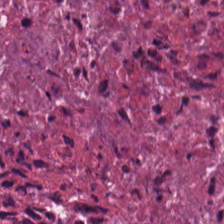Tissue = debris.
